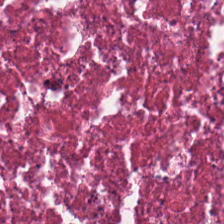Hematoxylin-and-eosin stained section. Tissue: necrotic debris.
